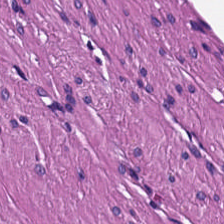WSI patch; hematoxylin and eosin — Classification — smooth muscle.
